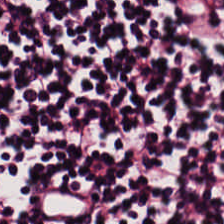H&E-stained tissue section showing lymphocyte aggregate.
